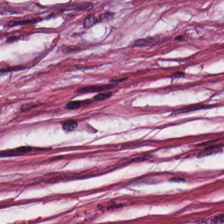H&E stain.
The tissue here is tumor-associated stroma.
